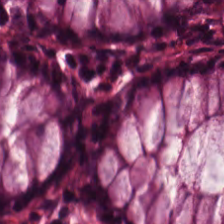H&E-stained tissue section — {"tissue_type": "non-neoplastic colon mucosa"}
